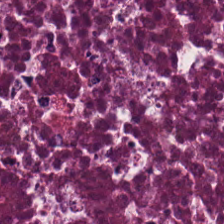Predominantly cellular debris.
